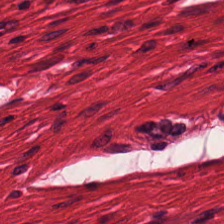Hematoxylin-and-eosin section: smooth-muscle tissue.
